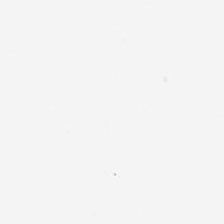Stain: H&E-stained tissue section.
Classification: no tissue.
